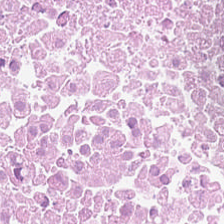Hematoxylin-and-eosin stained section — Predominantly cellular debris.
